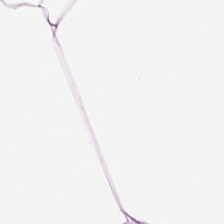H&E-stained tissue section — This patch shows fat tissue.
